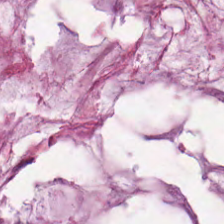H&E patch showing extracellular mucin.
